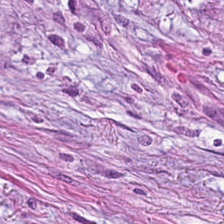H&E.
Tumor stroma.
